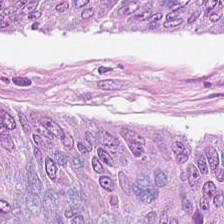Stain: hematoxylin and eosin.
Tissue type: adenocarcinoma.
